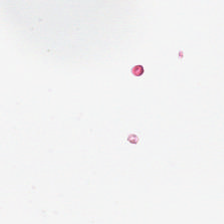H&E.
This field is background (no tissue).
